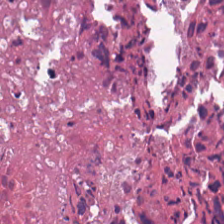Brightfield. Hematoxylin and eosin. 224×224 px patch. This patch shows debris.
